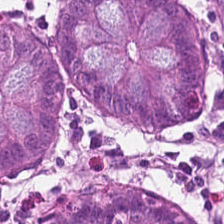H&E-stained tissue section · formalin-fixed paraffin-embedded section · 20× equivalent magnification.
Tissue type: normal colonic mucosa.
